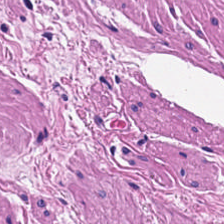Stain: hematoxylin and eosin.
Acquisition: whole-slide-image patch.
Tissue type: smooth muscle.
